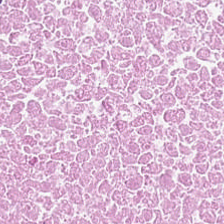0.5 µm per pixel · H&E · 224×224 pixel tile.
Finding — necrotic debris.
